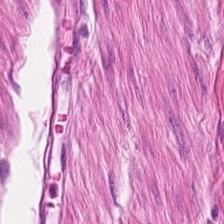Stain: H&E.
Predominant tissue: muscularis.
